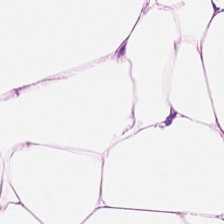H&E — Finding — fat tissue.
